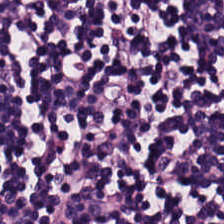H&E stain. This field is lymphocyte aggregate.
